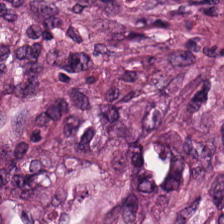H&E-stained tissue section — Showing cancer-associated stroma.
